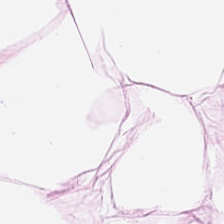Q: What is shown in this field?
A: Adipocytes.
